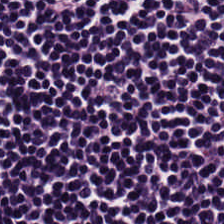Classification — lymphocyte aggregate.
